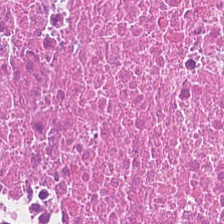Hematoxylin and eosin.
Tissue class = debris.
